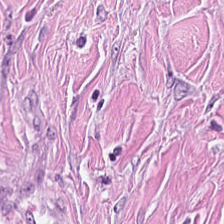Hematoxylin-and-eosin stained section — Tissue class — tumor-associated stroma.
